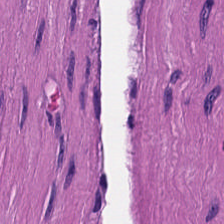Formalin-fixed paraffin-embedded section; brightfield; hematoxylin-and-eosin stained section. Classification — smooth muscle.
